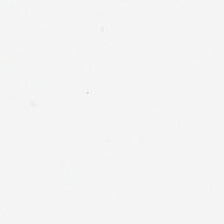224×224 px patch. H&E stain.
Empty field — no tissue.
